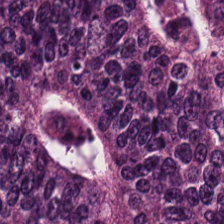Hematoxylin and eosin — This field is colorectal adenocarcinoma.
